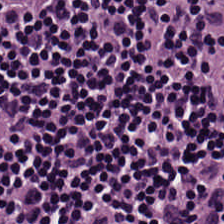H&E stain. The predominant tissue is lymphoid infiltrate.
